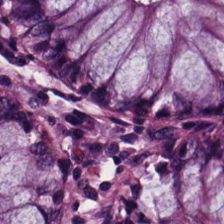WSI patch. H&E-stained tissue section. 224×224 pixel tile.
Classification — benign colonic mucosa.
